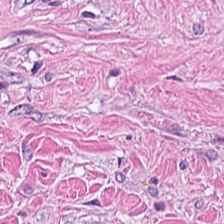FFPE. 224×224 px tile. H&E-stained tissue section. Tissue class = cancer-associated stroma.
